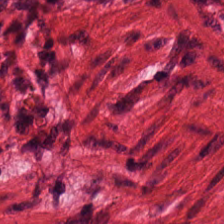0.5 µm/px. FFPE. H&E-stained tissue section.
Predominantly smooth-muscle tissue.
